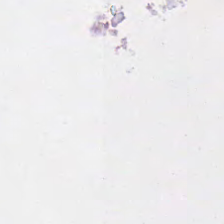20× equivalent magnification; H&E-stained tissue section. Field content — no tissue.
